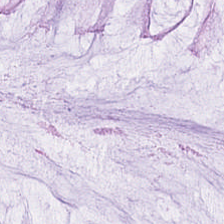224×224 px patch · H&E-stained tissue section · brightfield.
The tissue here is normal colon mucosa.
